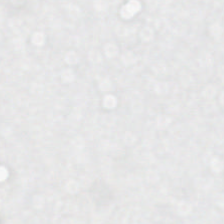Stain: hematoxylin-and-eosin stained section.
Field content: no tissue.
